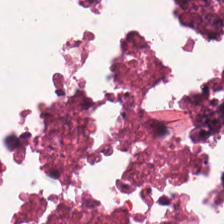H&E-stained tissue section — The predominant tissue is debris.
